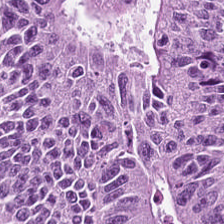224×224 pixel tile · hematoxylin and eosin · 20× equivalent magnification.
The tissue here is malignant epithelium.
